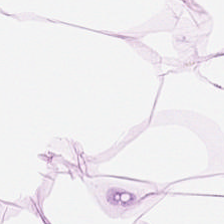Showing fat tissue.
